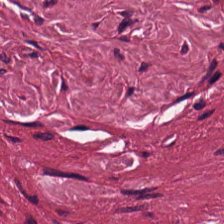Brightfield · hematoxylin and eosin · 0.5 µm per pixel. Predominant tissue — desmoplastic stroma.
